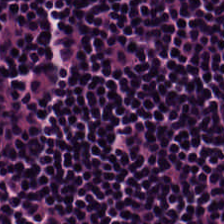0.5 microns per pixel · hematoxylin and eosin — Lymphocyte aggregate.
